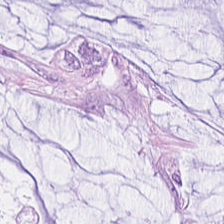H&E stain.
This patch shows mucin.
